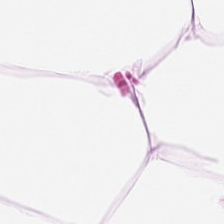Finding — adipose.
